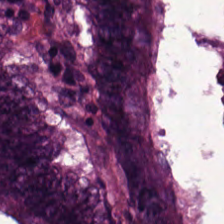Stain: H&E.
Tissue type: tumor epithelium.
